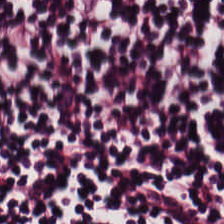H&E-stained tissue section. Whole-slide-image patch. {"tissue_type": "lymphocyte aggregate"}
